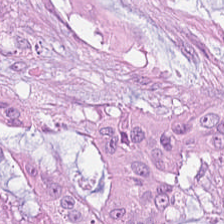H&E.
Q: What is shown here?
A: It is colorectal adenocarcinoma.
